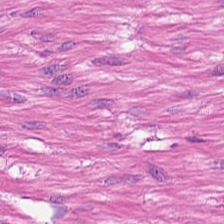Tissue class: smooth muscle.
